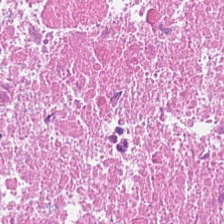224×224 pixel tile. Brightfield microscopy. H&E stain.
Q: What type of tissue is this?
A: It is cellular debris.
